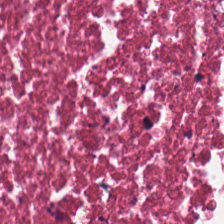Hematoxylin-and-eosin stained section — This patch shows cellular debris.
